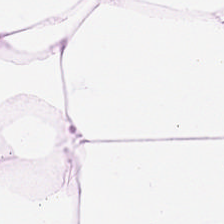Stain: hematoxylin-and-eosin stained section.
Acquisition: WSI patch.
Tissue type: fat tissue.
